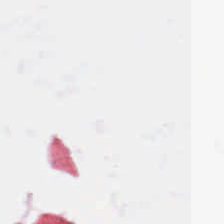0.5 microns per pixel. H&E — Background — no tissue in this field.
